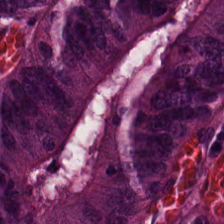20× equivalent magnification; H&E. This field is adenocarcinoma.
